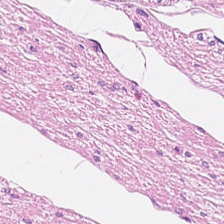Brightfield · H&E-stained tissue section · 224×224 pixel tile.
The predominant tissue is smooth-muscle tissue.
